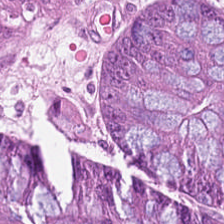H&E. 224×224 px patch — This field is colorectal adenocarcinoma epithelium.
